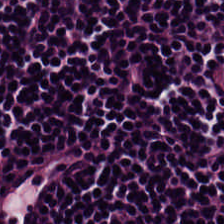224×224 pixel tile · H&E-stained tissue section.
Tissue: lymphocyte aggregate.
